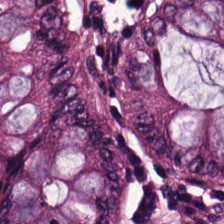Q: What is the predominant tissue type?
A: The field shows benign colonic mucosa.
